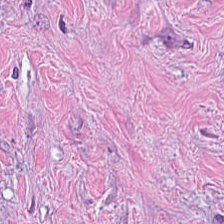This patch shows tumor-associated stroma.
